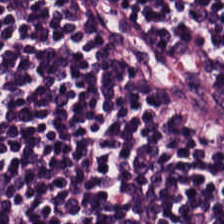Hematoxylin and eosin — The predominant tissue is lymphocytes.
